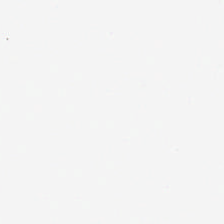Finding — background (no tissue).
